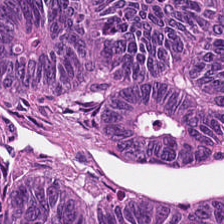Predominant tissue — adenocarcinoma.
